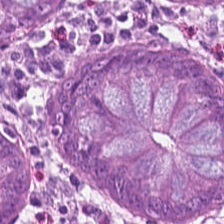20× equivalent magnification; H&E stain; WSI patch. Classification: non-neoplastic colon mucosa.
